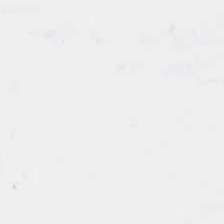224×224 px patch. 0.5 µm/px. H&E-stained tissue section — No tissue present; background only.
